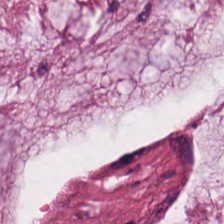Stain: H&E stain.
Tissue type: extracellular mucin.
